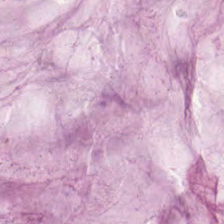H&E-stained tissue section.
Tissue class — mucus.
